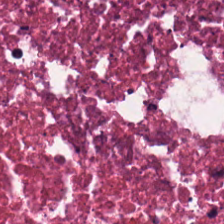Hematoxylin and eosin · 224×224 px tile.
{"tissue_type": "cellular debris"}
